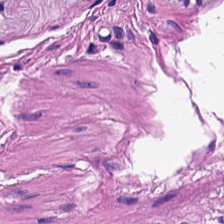The tissue type is smooth muscle.
